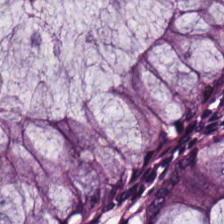WSI patch · hematoxylin-and-eosin stained section — The tissue here is benign colonic mucosa.
